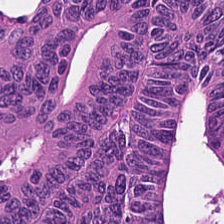Predominantly tumor epithelium.
